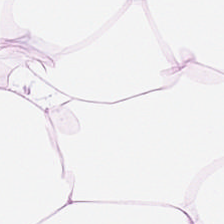H&E stain · FFPE. The tissue is adipose.
